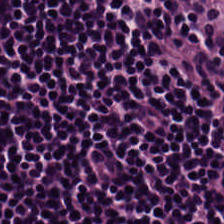H&E stain. This field is lymphoid infiltrate.
